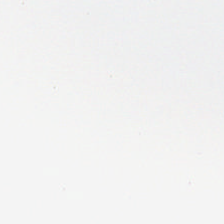Stain: hematoxylin and eosin.
Field content: no tissue.
